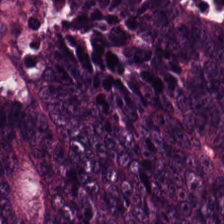Stain: H&E stain.
Tile size: 224×224 px patch.
Acquisition: brightfield microscopy.
Tissue type: tumor epithelium.
